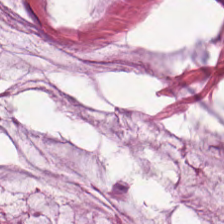Q: Classify this patch.
A: It is mucin.
